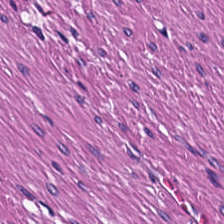Brightfield microscopy; H&E — Q: What does this patch show?
A: The field shows smooth-muscle tissue.
